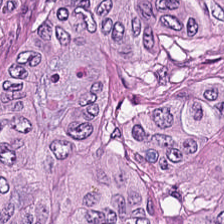Hematoxylin-and-eosin stained section. Predominantly tumor epithelium.
